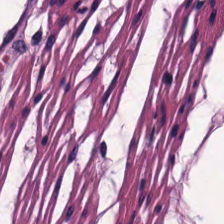Predominant tissue = muscularis.
